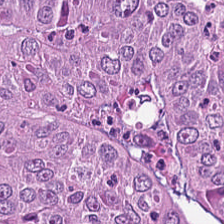The tissue is colorectal adenocarcinoma epithelium.
